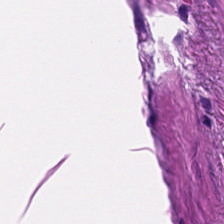Brightfield microscopy; hematoxylin and eosin; FFPE tissue section — Smooth muscle.
